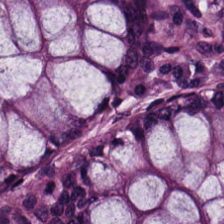Whole-slide-image patch · H&E stain.
Tissue = normal colon mucosa.
